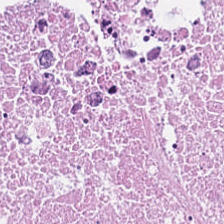Hematoxylin-and-eosin stained section. Debris.
